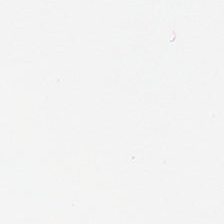H&E — This field is background (no tissue).
